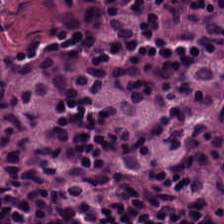Hematoxylin-and-eosin section: lymphoid infiltrate.
